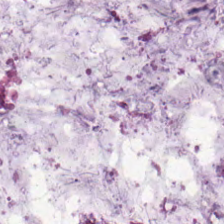H&E-stained tissue section; formalin-fixed paraffin-embedded section.
Tissue: extracellular mucin.
